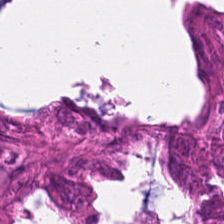Stain: H&E.
Tile size: 224×224 px patch.
Preparation: FFPE tissue section.
Predominant tissue: colorectal adenocarcinoma epithelium.
